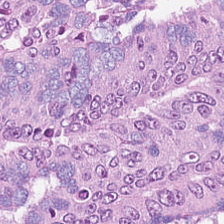Hematoxylin and eosin. 20× equivalent magnification.
Predominant tissue: colorectal adenocarcinoma.
